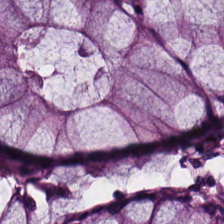The tissue is benign colonic mucosa.
